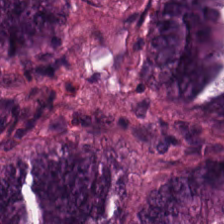Hematoxylin and eosin · 0.5 µm per pixel.
The predominant tissue is adenocarcinoma.
